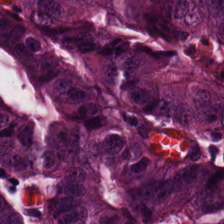0.5 microns per pixel. Hematoxylin and eosin. This field is colorectal adenocarcinoma.
